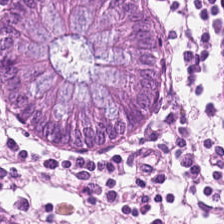H&E-stained tissue section.
Showing benign colonic mucosa.
